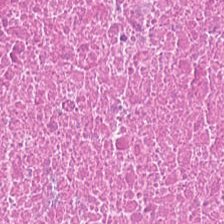224×224 pixel tile · hematoxylin and eosin.
Showing necrotic debris.
